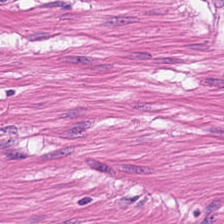H&E stain. Impression → smooth-muscle tissue.
